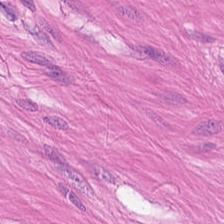H&E-stained tissue section; FFPE; brightfield — Tissue type — smooth muscle.
